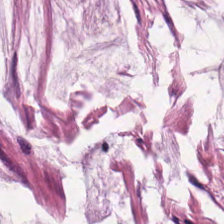Q: What tissue type is shown here?
A: The field shows extracellular mucin.
